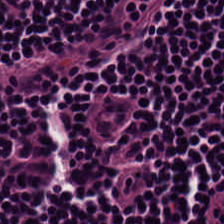H&E-stained tissue section. Q: What type of tissue is this?
A: Lymphocytes.
